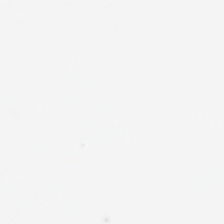H&E · whole-slide-image patch · 0.5 µm/px. The classification is empty background.
